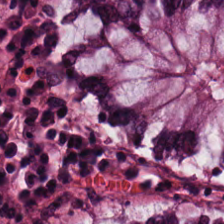The tissue here is normal colon mucosa.
